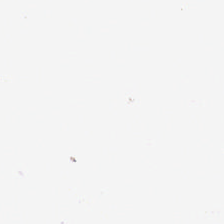0.5 µm/px; H&E — Background (no tissue).
